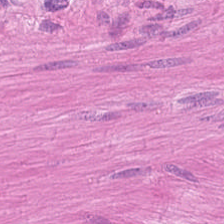Hematoxylin and eosin.
Impression → muscularis.
